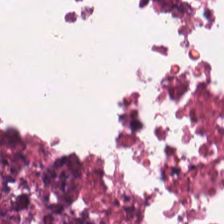Hematoxylin-and-eosin stained section — Q: What type of tissue is this?
A: The field shows debris.
